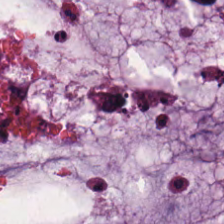Q: What is the predominant tissue type?
A: It is mucin.
